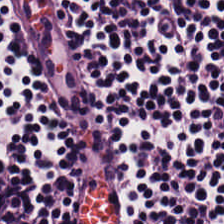Tissue class: lymphocyte aggregate.
